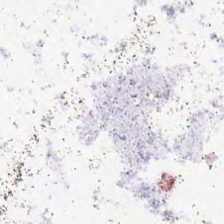Brightfield · formalin-fixed paraffin-embedded section · hematoxylin-and-eosin stained section — Classification = background (no tissue).
